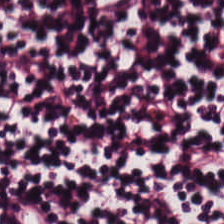Formalin-fixed paraffin-embedded section. H&E-stained tissue section.
Finding → lymphocyte aggregate.
